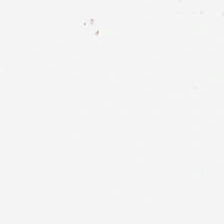Classification: no tissue.
